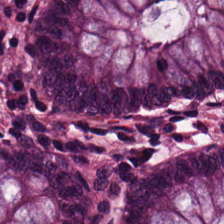H&E. Q: Classify this patch.
A: It is normal colonic mucosa.
